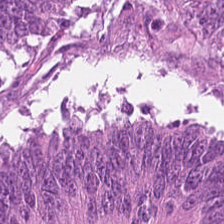H&E-stained tissue section showing malignant epithelium.
